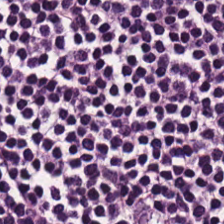Stain: H&E stain.
Resolution: 0.5 microns per pixel.
Predominant tissue: lymphocytic infiltrate.
